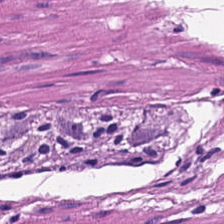Hematoxylin-and-eosin stained section. Q: Classify this patch.
A: It is smooth muscle.
